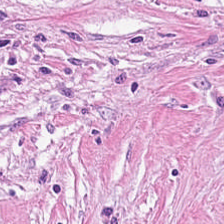H&E · 0.5 microns per pixel — Tumor stroma.
